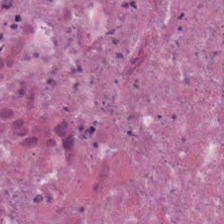H&E-stained tissue section. 224×224 px tile. Tissue type: debris.
